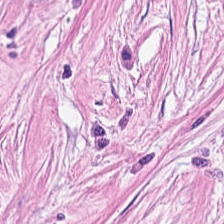Q: What is shown in this field?
A: Cancer-associated stroma.
